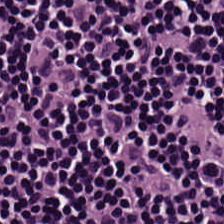Hematoxylin-and-eosin stained section. Predominant tissue = lymphocytic infiltrate.
